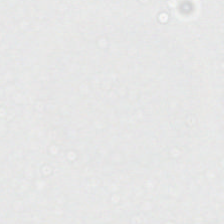Hematoxylin and eosin; whole-slide-image patch — No tissue present; background only.
